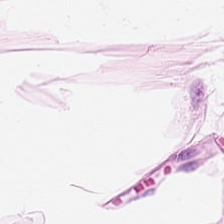H&E; FFPE tissue section; 0.5 microns per pixel — Predominant tissue — adipose tissue.
